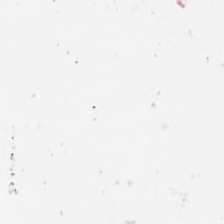H&E stain; brightfield. No tissue present; background only.
